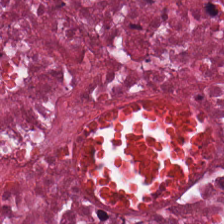Q: What tissue is shown?
A: Debris.
